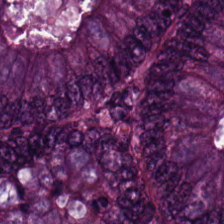H&E — malignant epithelium.
